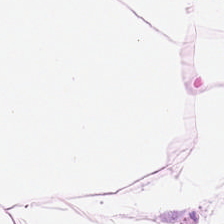H&E stain · 224×224 px tile.
Adipose tissue.
